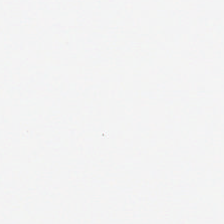Histology → empty background.
